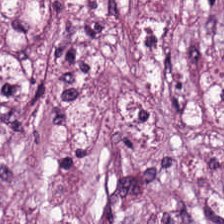224×224 pixel tile. H&E.
{"tissue_type": "desmoplastic stroma"}
